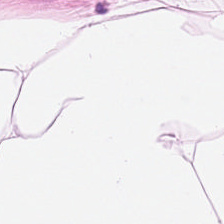0.5 µm/px. Brightfield microscopy. Hematoxylin and eosin. The tissue here is adipose.
